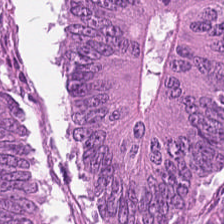Brightfield microscopy. H&E-stained tissue section.
Finding — colorectal adenocarcinoma epithelium.
